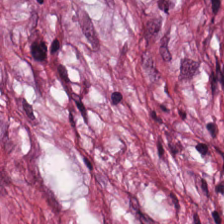Hematoxylin-and-eosin stained section.
The predominant tissue is desmoplastic stroma.
